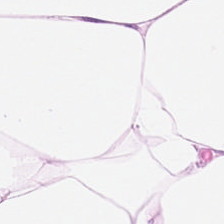H&E. Tissue type = adipose tissue.
